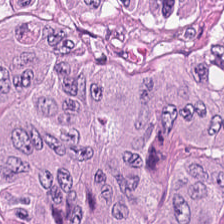H&E stain; 0.5 µm/px. Q: Identify the tissue.
A: This is colorectal adenocarcinoma epithelium.
